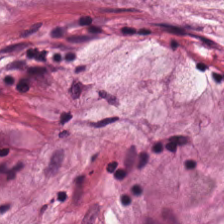Stain: H&E-stained tissue section.
Tissue type: mucus.
